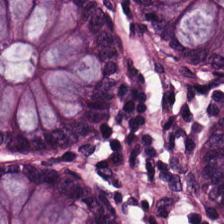Stain: H&E-stained tissue section.
Tissue class: normal colon mucosa.
